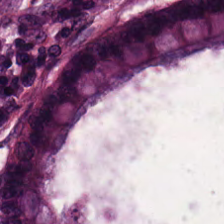H&E-stained tissue section. {"tissue_type": "non-neoplastic colon mucosa"}
